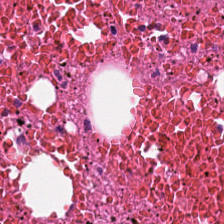H&E-stained tissue section. The tissue here is debris.
